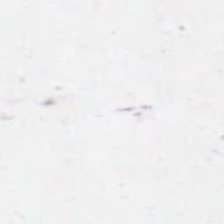H&E. Content — background (no tissue).
